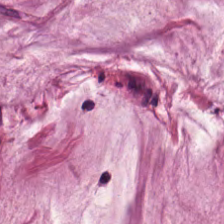Stain: H&E-stained tissue section.
Acquisition: brightfield.
Tissue class: mucus.
